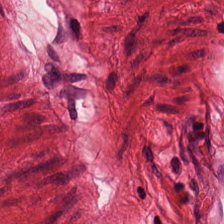Stain: H&E stain.
Tissue type: smooth muscle.
